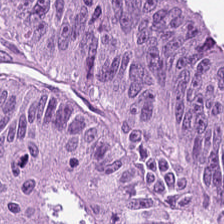WSI patch · H&E stain — Tissue class: colorectal adenocarcinoma.
